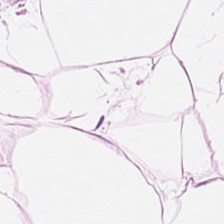Hematoxylin and eosin.
Classification — adipocytes.
